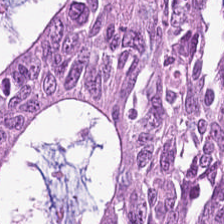{"tissue_type": "malignant epithelium"}
